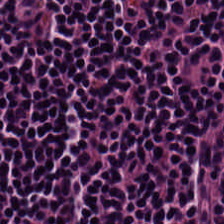Formalin-fixed paraffin-embedded section. 224×224 px tile. H&E stain.
The predominant tissue is lymphocytic infiltrate.
